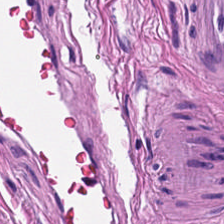Hematoxylin and eosin. Q: What tissue is shown?
A: It is smooth muscle.
